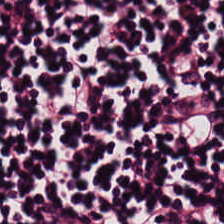H&E stain.
Lymphocyte aggregate.
